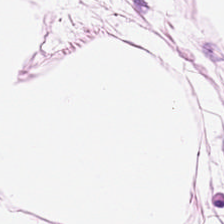Brightfield microscopy. Hematoxylin-and-eosin stained section.
The tissue here is adipocytes.
